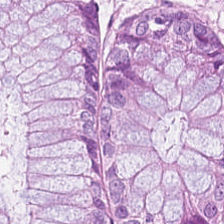Showing non-neoplastic colon mucosa.
